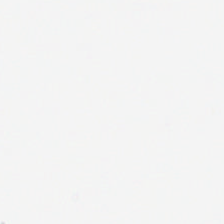Stain: H&E.
Classification: background.
